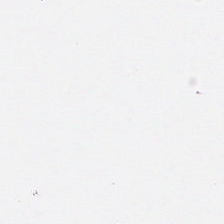Q: What does this patch show?
A: Empty background.
